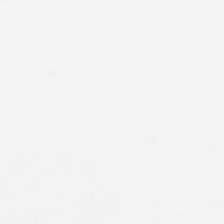H&E-stained tissue section. Brightfield — Histology → background.
